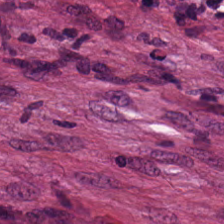0.5 µm/px. H&E. Predominantly tumor stroma.
